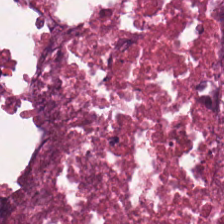Showing necrotic debris.
